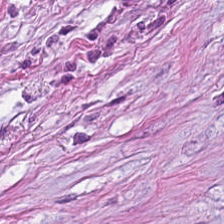Hematoxylin and eosin — The tissue here is desmoplastic stroma.
